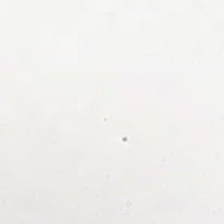FFPE tissue section. Hematoxylin and eosin.
Impression — empty background.
